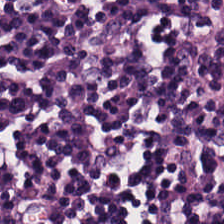H&E-stained tissue section.
Histology — lymphocytic infiltrate.
